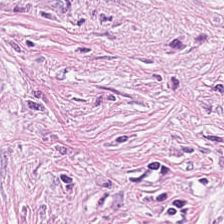20× equivalent magnification. H&E. Q: What is shown here?
A: Tumor stroma.
